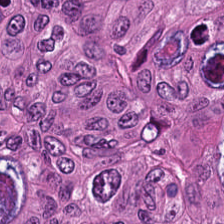Stain: hematoxylin and eosin.
Tile size: 224×224 px tile.
Resolution: 20× equivalent magnification.
Tissue type: colorectal adenocarcinoma.
